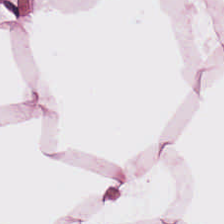H&E. Tissue class = adipose tissue.
